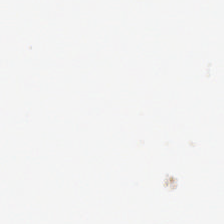Content — empty background.
